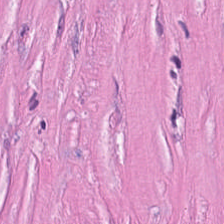Classification — tumor stroma.
